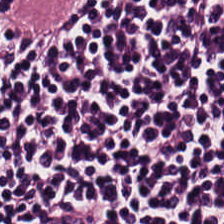The tissue is lymphocytic infiltrate.
